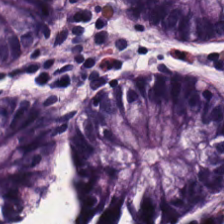H&E.
Q: What tissue is shown?
A: This is normal colonic mucosa.
